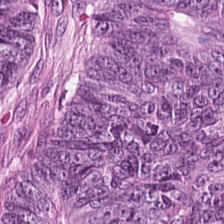H&E stain — Colorectal adenocarcinoma.
